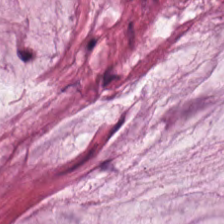Hematoxylin-and-eosin stained section — Histology → mucus.
